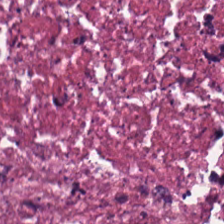Hematoxylin and eosin — This patch shows cellular debris.
